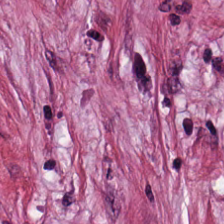H&E stain. 224×224 pixel tile.
Showing tumor stroma.
